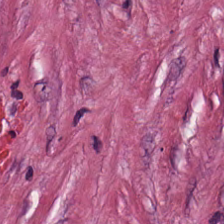Hematoxylin-and-eosin stained section. FFPE. 20× equivalent magnification. The tissue is tumor-associated stroma.
